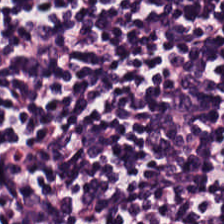H&E stain — Showing lymphocyte aggregate.
